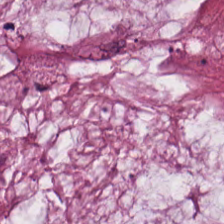H&E-stained tissue section — Tissue class — mucus.
